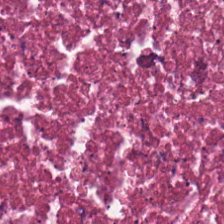H&E stain — Q: What type of tissue is this?
A: Necrotic debris.
